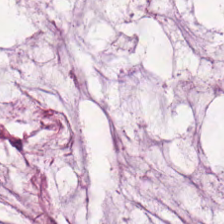H&E. The predominant tissue is mucin.
